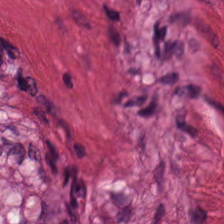Hematoxylin and eosin — The tissue here is muscularis.
